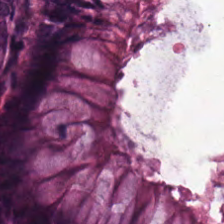Hematoxylin and eosin.
Showing normal colon mucosa.
